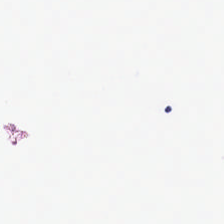H&E-stained tissue section. Background (no tissue).
